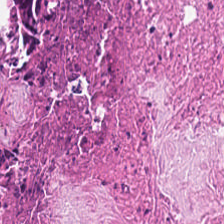Hematoxylin-and-eosin stained section · WSI patch. This field is cellular debris.
